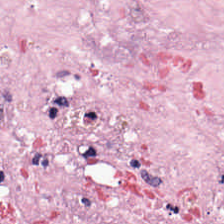WSI patch · H&E.
Predominantly cancer-associated stroma.
